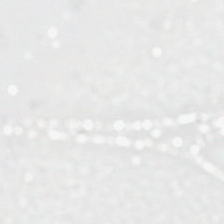H&E-stained tissue section.
Impression → empty background.
